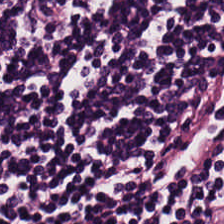H&E; FFPE tissue section.
The classification is lymphoid infiltrate.
